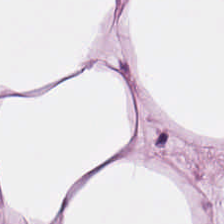H&E-stained tissue section · whole-slide-image patch · 224×224 pixel tile. Predominantly adipose.
